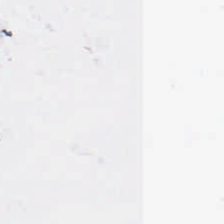{"content": "no tissue"}
